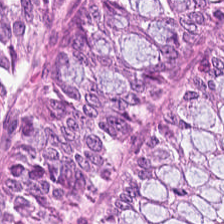Q: What is the predominant tissue type?
A: The field shows normal colon mucosa.
